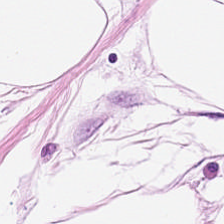Hematoxylin and eosin. Q: Classify this patch.
A: This is adipose tissue.
